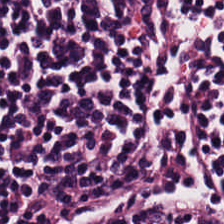This patch shows lymphocyte aggregate.
